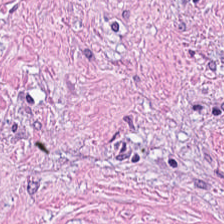H&E-stained tissue section. Impression — desmoplastic stroma.
